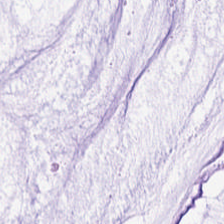H&E stain · brightfield. The tissue here is mucus.
